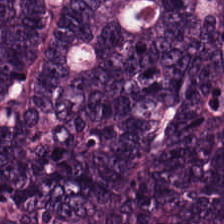H&E stain.
Q: What is shown here?
A: The field shows adenocarcinoma.
